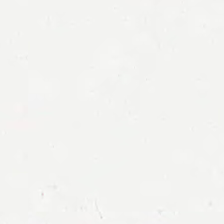H&E-stained tissue section.
Q: What is shown here?
A: This is background (no tissue).
